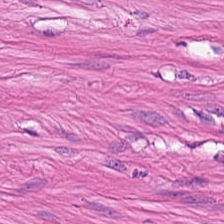Hematoxylin and eosin · WSI patch.
Tissue class — muscularis.
